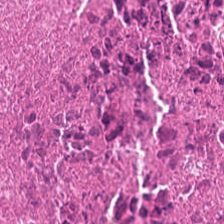Hematoxylin and eosin. FFPE tissue section — {"tissue_type": "cellular debris"}
